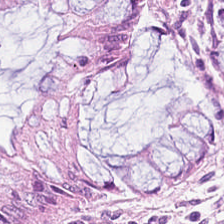H&E-stained tissue section — Predominantly normal colonic mucosa.
